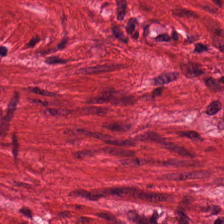Hematoxylin-and-eosin stained section. Q: What is shown here?
A: The field shows muscularis.
